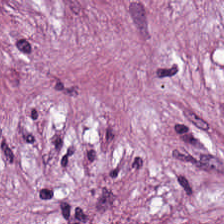Hematoxylin-and-eosin stained section — Tissue type = tumor stroma.
